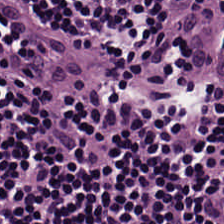This patch shows lymphoid infiltrate.
